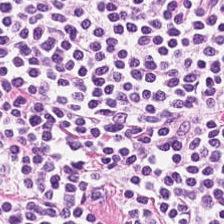Predominantly lymphoid infiltrate.
